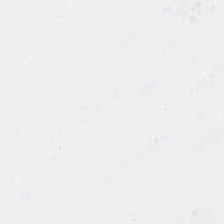Hematoxylin and eosin. Formalin-fixed paraffin-embedded section.
This patch shows no tissue.
